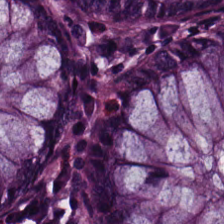Hematoxylin and eosin — Tissue class — benign colonic mucosa.
